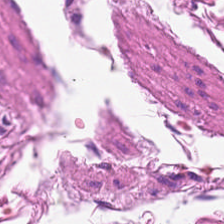Hematoxylin-and-eosin stained section. 224×224 px tile.
Showing smooth muscle.
